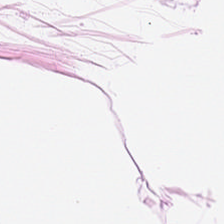Hematoxylin and eosin. 0.5 microns per pixel. WSI patch.
Predominantly adipocytes.
